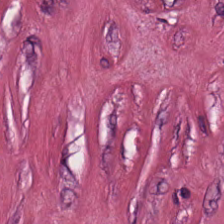Hematoxylin-and-eosin section: cancer-associated stroma.
